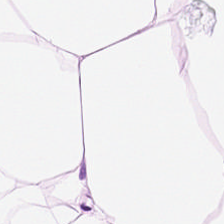H&E-stained tissue section — Predominantly adipose tissue.
